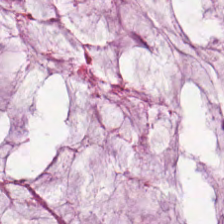0.5 µm per pixel · H&E · FFPE. Q: What is shown here?
A: This is extracellular mucin.
